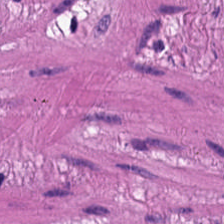Hematoxylin and eosin · WSI patch. Showing smooth muscle.
